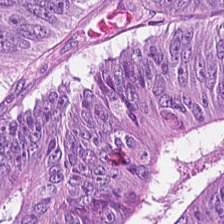FFPE. H&E-stained tissue section — The predominant tissue is adenocarcinoma.
